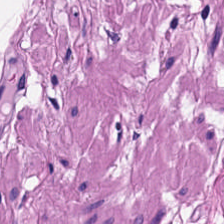H&E stain. The tissue is smooth-muscle tissue.
